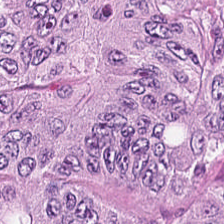Stain: hematoxylin and eosin.
Tile size: 224×224 px tile.
Acquisition: brightfield microscopy.
Tissue type: colorectal adenocarcinoma.
